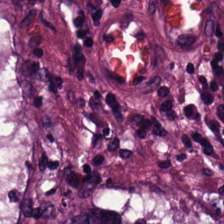Brightfield · hematoxylin-and-eosin stained section — Tissue class = tumor epithelium.
